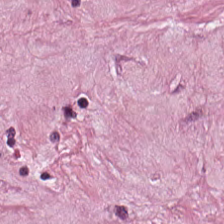The tissue here is tumor-associated stroma.
